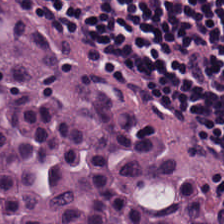Stain: H&E.
Resolution: 0.5 microns per pixel.
Predominant tissue: lymphocyte aggregate.
